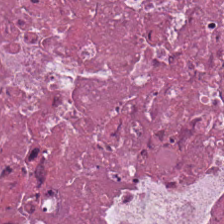H&E stain — Finding — debris.
